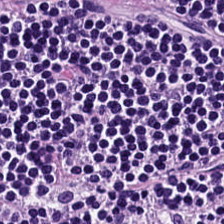Hematoxylin and eosin. FFPE. 224×224 px tile — Lymphocytic infiltrate.
